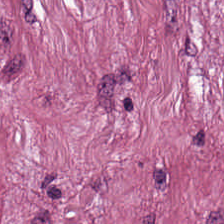Stain: hematoxylin-and-eosin stained section.
Predominant tissue: cancer-associated stroma.
